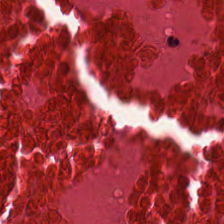Hematoxylin-and-eosin stained section; FFPE tissue section; brightfield microscopy. Tissue type = necrotic debris.
